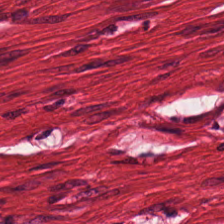Q: What does this patch show?
A: The field shows smooth-muscle tissue.
